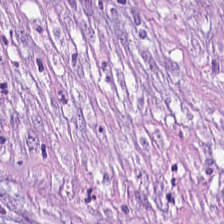Brightfield microscopy · 224×224 pixel tile · hematoxylin and eosin. The classification is tumor-associated stroma.
